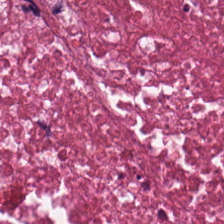H&E. Q: What does this patch show?
A: The field shows necrotic debris.
